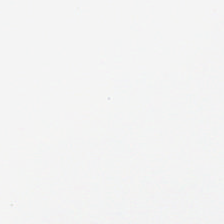Histology → no tissue.
